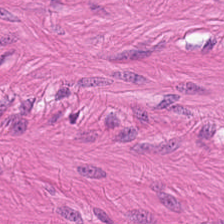{"tissue_type": "smooth-muscle tissue"}
